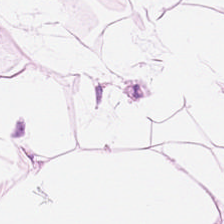20× equivalent magnification · H&E-stained tissue section · 224×224 px patch.
Tissue type: fat tissue.
